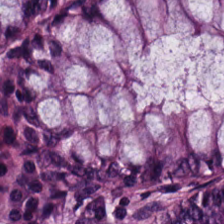{"tissue_type": "normal colonic mucosa"}
